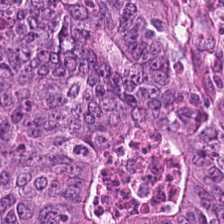Tissue class = adenocarcinoma.
